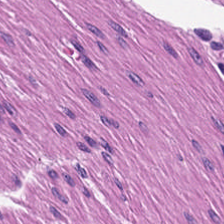224×224 pixel tile. 20× equivalent magnification. Hematoxylin-and-eosin stained section — Q: Classify this patch.
A: It is smooth muscle.
